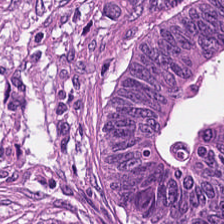Hematoxylin and eosin.
Q: What is the predominant tissue type?
A: It is adenocarcinoma.
